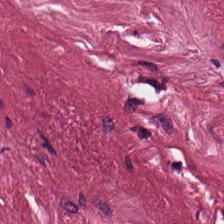Histology — tumor stroma.
